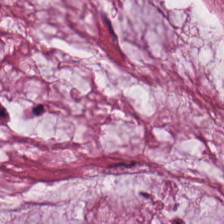Hematoxylin and eosin · 224×224 px patch — The tissue here is extracellular mucin.
